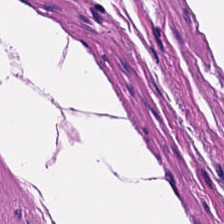The tissue here is smooth muscle.
